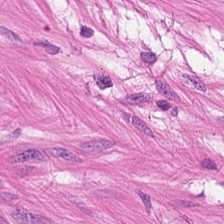This field is smooth-muscle tissue.
